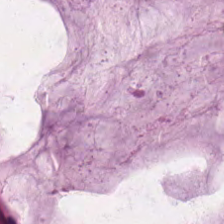Hematoxylin-and-eosin stained section — This field is extracellular mucin.
